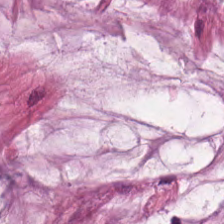H&E-stained tissue section. FFPE tissue section. WSI patch. The tissue is mucus.
